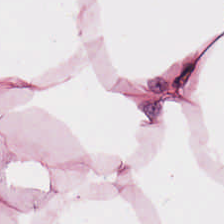H&E stain.
The tissue is adipose.
